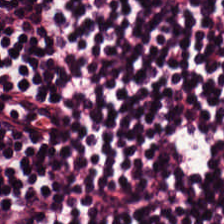H&E. 0.5 µm/px.
The predominant tissue is lymphocyte aggregate.
